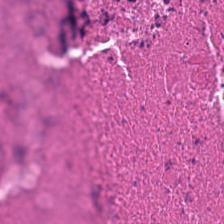FFPE · brightfield microscopy · hematoxylin-and-eosin stained section. Predominantly debris.
